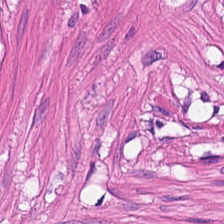Hematoxylin and eosin.
Muscularis.
